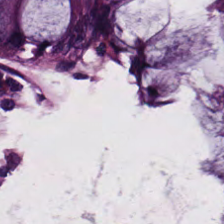H&E-stained tissue section; WSI patch; 224×224 px tile.
Benign colonic mucosa.
